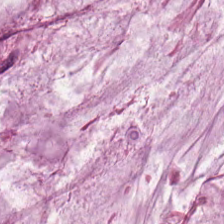Formalin-fixed paraffin-embedded section; H&E; 0.5 µm/px — Extracellular mucin.
